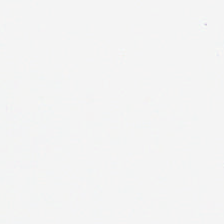Stain: hematoxylin-and-eosin stained section.
Content: background (no tissue).
